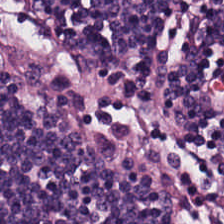H&E stain. Predominant tissue — lymphocytic infiltrate.
